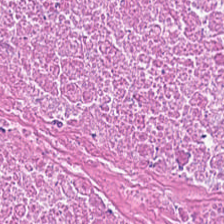Stain: H&E-stained tissue section.
Tissue class: debris.
